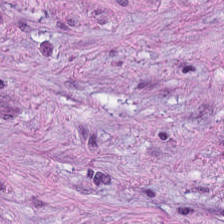H&E-stained tissue section.
Q: Classify this patch.
A: The field shows cancer-associated stroma.
